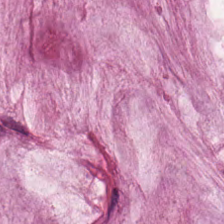Stain: H&E-stained tissue section.
Tile size: 224×224 pixel tile.
Classification: extracellular mucin.
